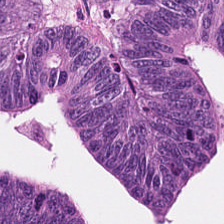Hematoxylin and eosin. Tissue type — colorectal adenocarcinoma.
